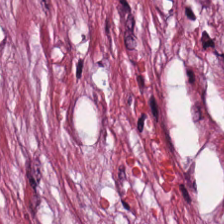H&E-stained tissue section showing desmoplastic stroma.
